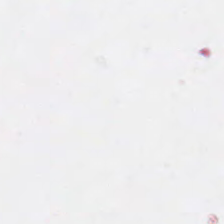FFPE · hematoxylin and eosin · WSI patch — Classification — background (no tissue).
